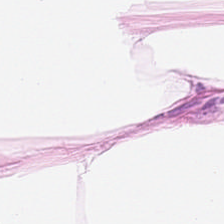H&E stain — Fat tissue.
